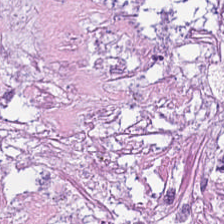Predominantly cellular debris.
